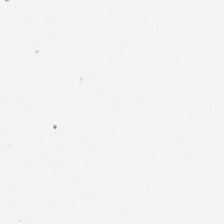H&E stain · 224×224 px patch — This field is background (no tissue).
